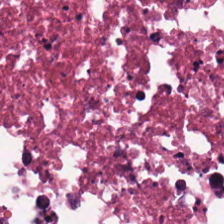Impression → debris.
